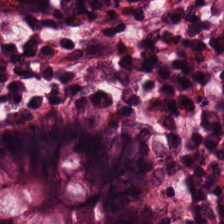Hematoxylin and eosin. Classification: non-neoplastic colon mucosa.
